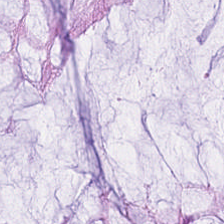Stain: H&E stain.
Classification: non-neoplastic colon mucosa.
